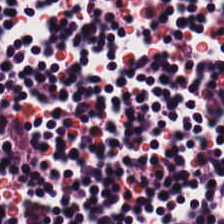Finding — lymphocytic infiltrate.
